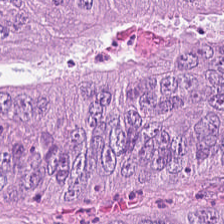Brightfield microscopy. H&E stain. Tissue class = colorectal adenocarcinoma epithelium.
